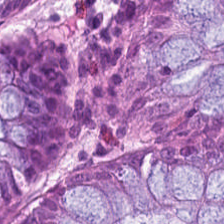Histology → non-neoplastic colon mucosa.
